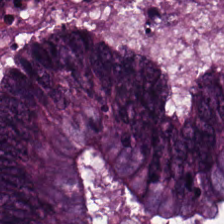FFPE · hematoxylin and eosin.
{"tissue_type": "tumor epithelium"}
